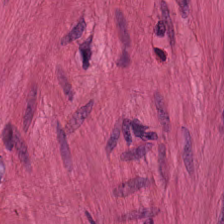This field is muscularis.
